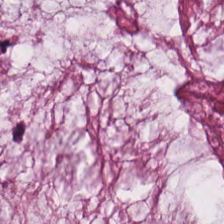Stain: H&E-stained tissue section.
Resolution: 0.5 µm/px.
Tissue class: extracellular mucin.
